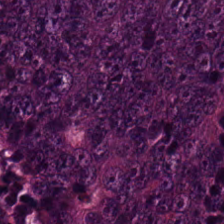The predominant tissue is tumor epithelium.
